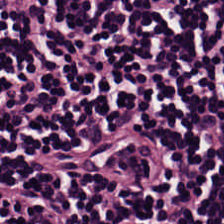Whole-slide-image patch; H&E — The tissue type is lymphocyte aggregate.
